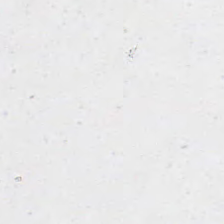Hematoxylin-and-eosin stained section. Background — no tissue in this field.
